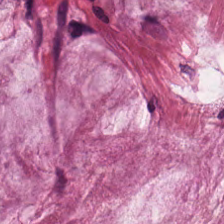Brightfield microscopy · 0.5 µm per pixel · hematoxylin-and-eosin stained section.
Finding → mucin.
